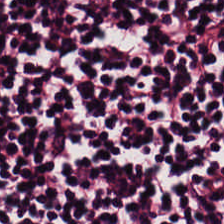H&E-stained tissue section; brightfield. Lymphocytes.
